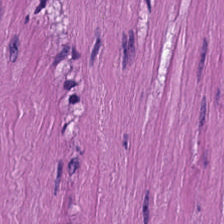Hematoxylin and eosin. The tissue here is muscularis.
